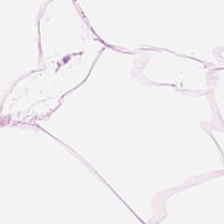H&E-stained tissue section. Q: What does this patch show?
A: It is fat tissue.
